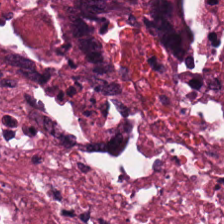FFPE tissue section; 224×224 px patch; H&E. Histology — cellular debris.
